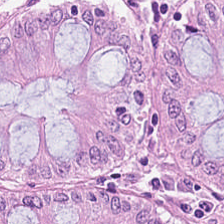H&E patch showing non-neoplastic colon mucosa.
